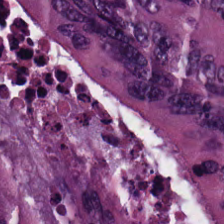FFPE · brightfield · H&E-stained tissue section.
Q: What type of tissue is this?
A: The field shows tumor epithelium.
